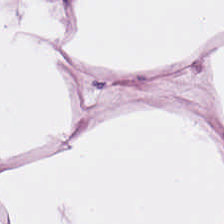Hematoxylin-and-eosin stained section.
Q: What is the predominant tissue type?
A: The field shows adipocytes.
